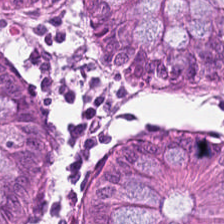H&E-stained tissue section. Histology — benign colonic mucosa.
